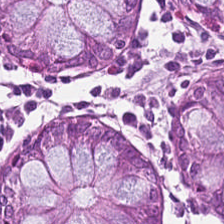20× equivalent magnification; H&E stain.
The tissue here is non-neoplastic colon mucosa.
